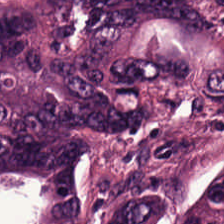Formalin-fixed paraffin-embedded section. Whole-slide-image patch. H&E-stained tissue section.
Impression — colorectal adenocarcinoma epithelium.
